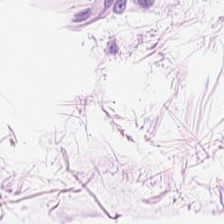Showing adipose.
